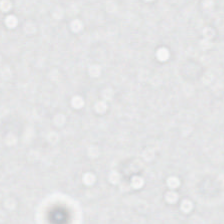H&E-stained tissue section.
Content = no tissue.
